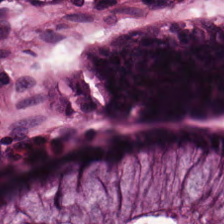Hematoxylin and eosin.
Q: What type of tissue is this?
A: It is normal colonic mucosa.
